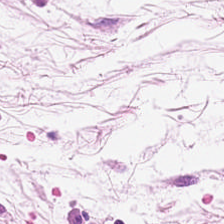H&E — adipose.
